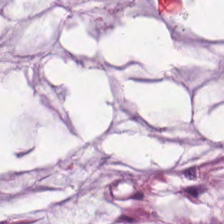H&E; 224×224 pixel tile; FFPE tissue section. This patch shows mucin.
